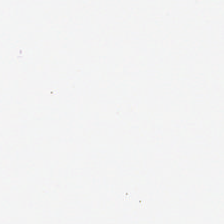Classification: background (no tissue).
